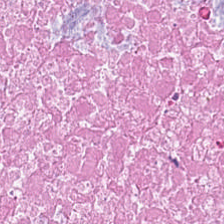Brightfield microscopy. Formalin-fixed paraffin-embedded section. H&E stain.
The tissue type is necrotic debris.
